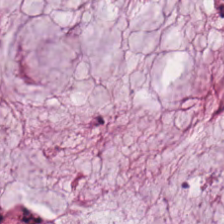H&E.
Predominantly extracellular mucin.
